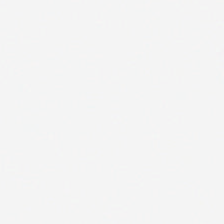The field content is no tissue.
